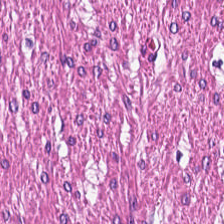20× equivalent magnification · H&E. Tissue class = smooth muscle.
